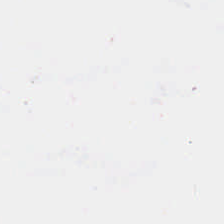No tissue present; background only.
